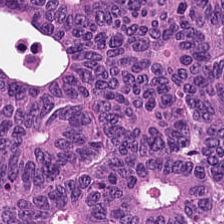Hematoxylin and eosin. 224×224 px tile. Q: What is shown in this field?
A: Tumor epithelium.
